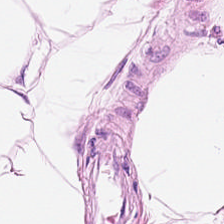H&E.
The tissue is fat tissue.
